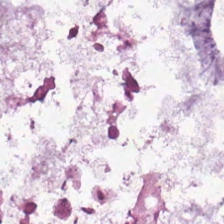H&E-stained tissue section.
The tissue class is mucus.
